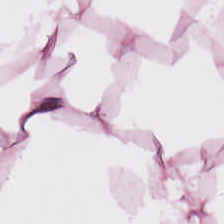Stain: H&E.
Resolution: 0.5 µm/px.
Predominant tissue: adipose tissue.
